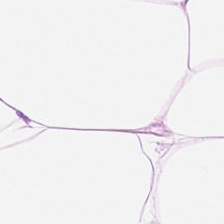Stain: hematoxylin and eosin.
Tile size: 224×224 px tile.
Resolution: 0.5 µm per pixel.
Tissue: fat tissue.
